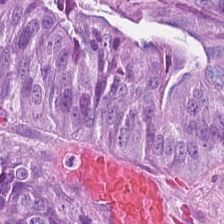H&E — Finding — colorectal adenocarcinoma.
